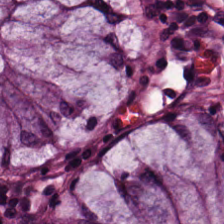H&E stain · WSI patch · FFPE. Q: What is shown in this field?
A: Normal colon mucosa.
